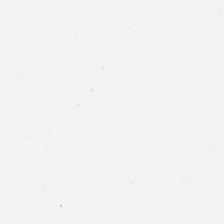{"content": "background"}
